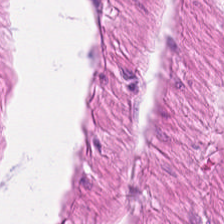H&E. 224×224 px tile — Impression — smooth-muscle tissue.
